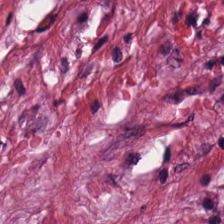Hematoxylin and eosin.
Showing tumor stroma.
